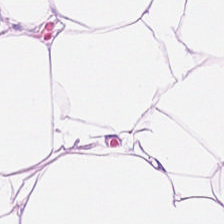Hematoxylin-and-eosin stained section. 224×224 pixel tile — Q: What is shown here?
A: It is adipocytes.
